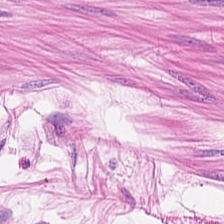FFPE; hematoxylin-and-eosin stained section; 224×224 px tile. Impression — smooth muscle.
